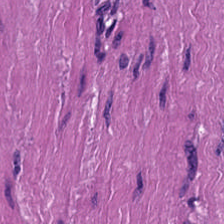224×224 px patch; H&E stain. This field is smooth-muscle tissue.
